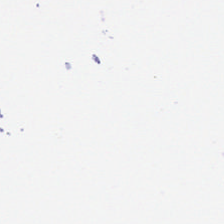Q: What does this patch show?
A: No tissue.
